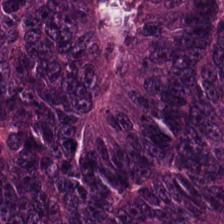Q: Classify this patch.
A: Tumor epithelium.
